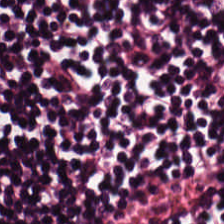Tissue = lymphocyte aggregate.
